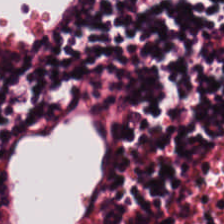H&E-stained tissue section showing lymphocytes.
